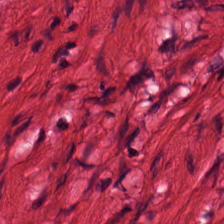H&E — smooth muscle.
